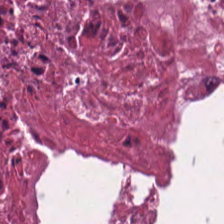H&E; brightfield. Q: What tissue is shown?
A: Cellular debris.
